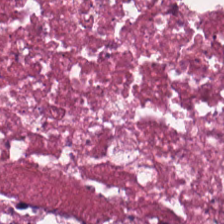Whole-slide-image patch · H&E-stained tissue section.
Tissue class: necrotic debris.
